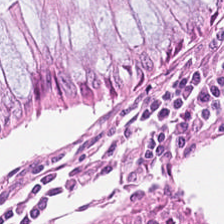Hematoxylin-and-eosin stained section — The predominant tissue is normal colonic mucosa.
